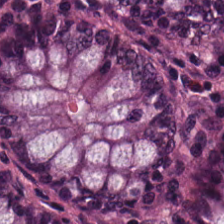Hematoxylin-and-eosin stained section. 224×224 pixel tile — Q: What tissue type is shown here?
A: It is normal colon mucosa.
